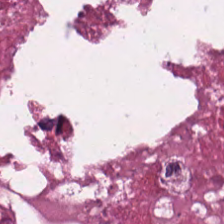Brightfield. Hematoxylin-and-eosin stained section. Q: What is shown in this field?
A: It is necrotic debris.
